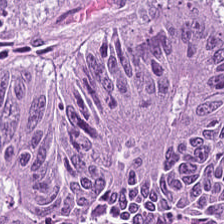This field is tumor epithelium.
